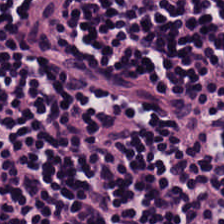Hematoxylin and eosin.
Classification = lymphocytic infiltrate.
